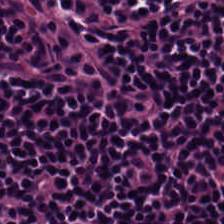Hematoxylin-and-eosin section: lymphocyte aggregate.
